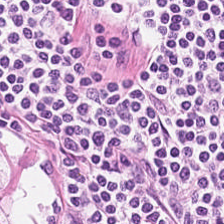Hematoxylin and eosin. This patch shows lymphoid infiltrate.
